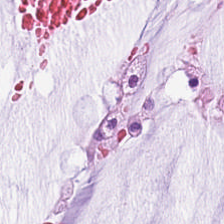Stain: H&E-stained tissue section.
Preparation: FFPE.
Acquisition: whole-slide-image patch.
Predominant tissue: mucus.
